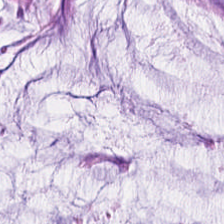Brightfield microscopy. H&E stain. 0.5 µm/px. Classification = mucus.
